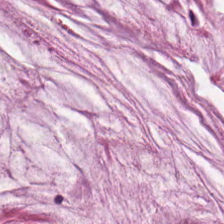FFPE. H&E-stained tissue section. Predominantly extracellular mucin.
